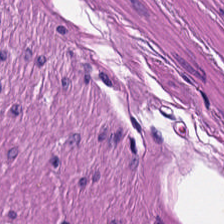H&E-stained tissue section; whole-slide-image patch.
Q: What tissue is shown?
A: Smooth muscle.
